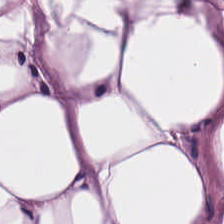Hematoxylin and eosin · brightfield.
Impression → adipose.
